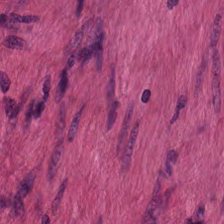H&E stain; brightfield — Q: What tissue type is shown here?
A: The field shows smooth muscle.
